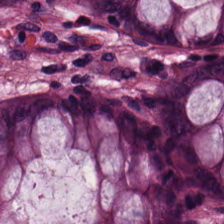Hematoxylin-and-eosin stained section — Predominant tissue — normal colon mucosa.
